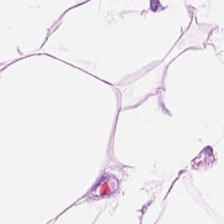The predominant tissue is fat tissue.
